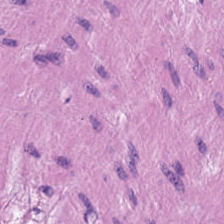Hematoxylin-and-eosin stained section · brightfield · 224×224 px patch.
Showing smooth muscle.
